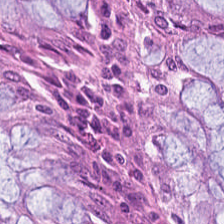20× equivalent magnification; brightfield microscopy; hematoxylin and eosin — Finding — non-neoplastic colon mucosa.
